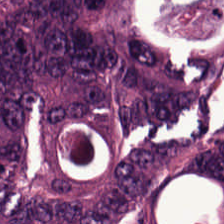Q: What tissue is shown?
A: It is tumor epithelium.
